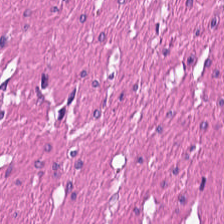This field is smooth muscle.
